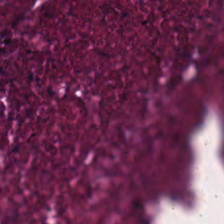{"tissue_type": "debris"}
